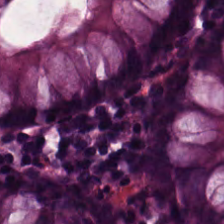0.5 microns per pixel · hematoxylin-and-eosin stained section · brightfield.
Showing benign colonic mucosa.
